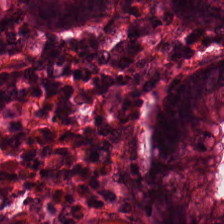H&E stain — Q: Classify this patch.
A: The field shows benign colonic mucosa.
